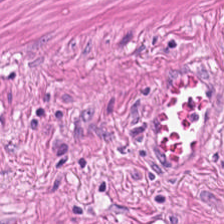Brightfield microscopy; hematoxylin-and-eosin stained section. Q: What tissue type is shown here?
A: The field shows muscularis.
